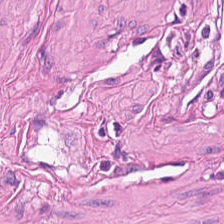20× equivalent magnification. H&E stain — Q: What tissue is shown?
A: It is muscularis.
